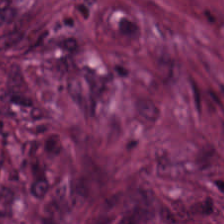Stain: H&E stain.
Tile size: 224×224 px tile.
Preparation: FFPE tissue section.
Predominant tissue: cancer-associated stroma.
